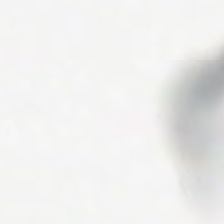This patch shows background (no tissue).
